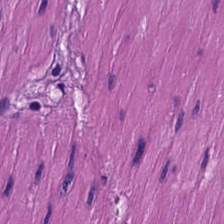Tissue: smooth-muscle tissue.
